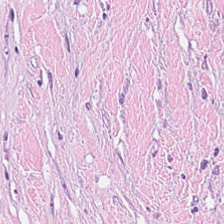The tissue type is tumor-associated stroma.
